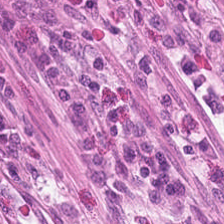0.5 µm/px · hematoxylin-and-eosin stained section.
The tissue here is normal colonic mucosa.
